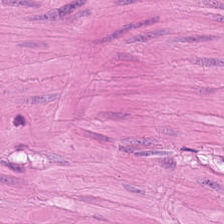H&E-stained tissue section — Q: Identify the tissue.
A: This is smooth-muscle tissue.
